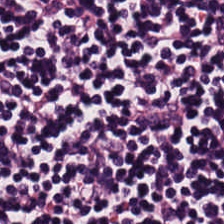Hematoxylin and eosin — Predominant tissue — lymphocytic infiltrate.
